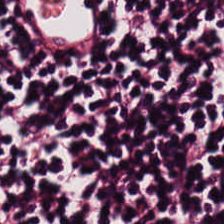Showing lymphocyte aggregate.
